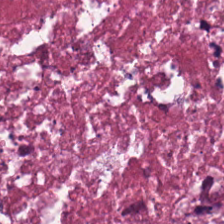The tissue here is necrotic debris.
